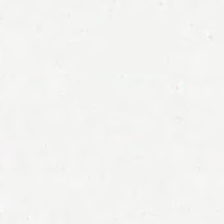0.5 µm per pixel; H&E.
No tissue present; background only.
